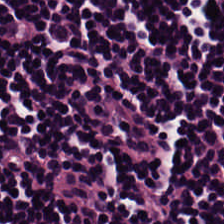FFPE. 0.5 µm/px. H&E stain. The tissue here is lymphocyte aggregate.
